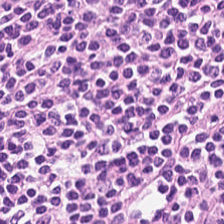Hematoxylin-and-eosin stained section.
{"tissue_type": "lymphocyte aggregate"}
